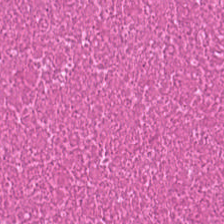H&E patch showing necrotic debris.
